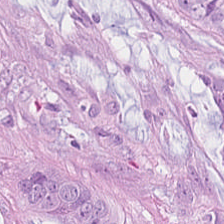Q: What is the predominant tissue type?
A: Tumor epithelium.
